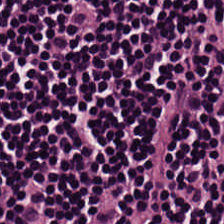Hematoxylin and eosin; formalin-fixed paraffin-embedded section; 0.5 µm/px. Histology → lymphoid infiltrate.
